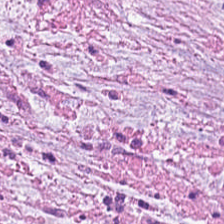H&E stain.
Tumor-associated stroma.
